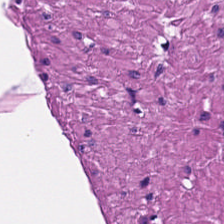WSI patch · 224×224 px patch · H&E — Showing smooth-muscle tissue.
